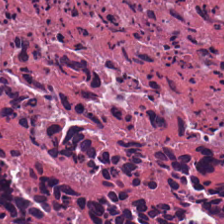Hematoxylin-and-eosin stained section — Showing necrotic debris.
